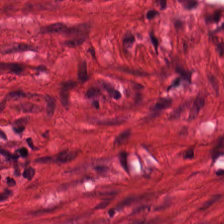This field is smooth muscle.
